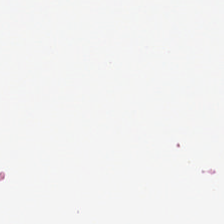Formalin-fixed paraffin-embedded section. Brightfield microscopy. H&E.
Q: What is shown in this field?
A: The field shows no tissue.
